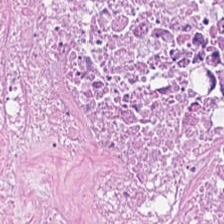Tissue — debris.
